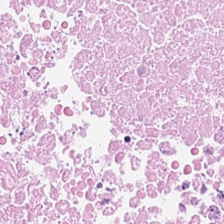H&E stain. FFPE.
Q: What tissue is shown?
A: Debris.
